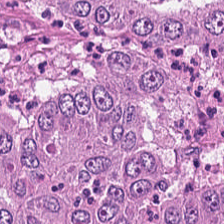Histology — tumor epithelium.
